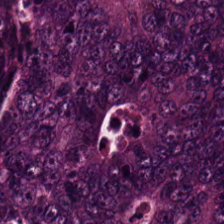Tumor epithelium.
